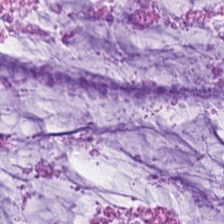H&E stain — Tissue class = extracellular mucin.
